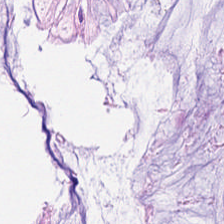Stain: H&E stain.
Preparation: FFPE tissue section.
Classification: benign colonic mucosa.
